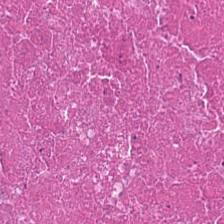Hematoxylin-and-eosin stained section — Classification = necrotic debris.
